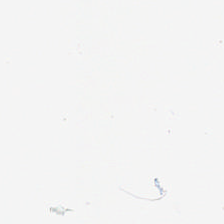H&E-stained tissue section — Empty field — no tissue.
